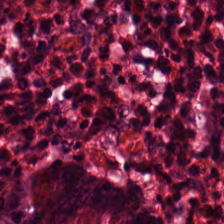Hematoxylin and eosin. The tissue here is non-neoplastic colon mucosa.
